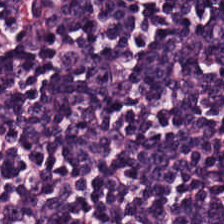H&E stain. Q: What type of tissue is this?
A: This is lymphocytes.
